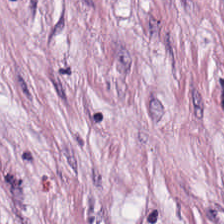H&E — {"tissue_type": "desmoplastic stroma"}
